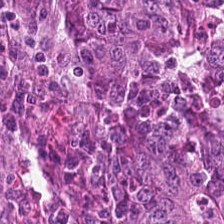{"tissue_type": "tumor epithelium"}
